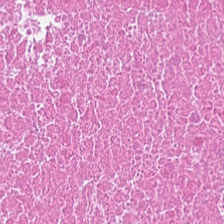H&E stain. FFPE. 224×224 pixel tile. Finding → necrotic debris.
